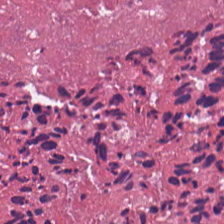FFPE; H&E stain; whole-slide-image patch. The tissue class is cellular debris.
